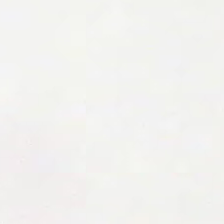H&E-stained tissue section · 0.5 µm/px.
Q: What is shown in this field?
A: It is background.
